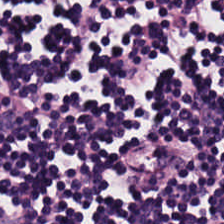Stain: H&E-stained tissue section.
Tissue: lymphocytes.
